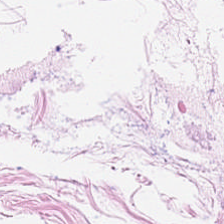FFPE; H&E; 224×224 pixel tile. This field is adipose.
